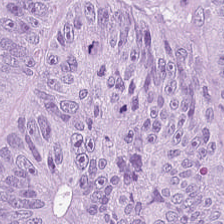H&E-stained tissue section — This patch shows colorectal adenocarcinoma epithelium.
